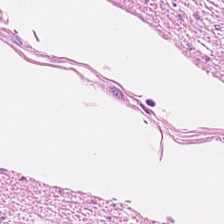Stain: hematoxylin-and-eosin stained section.
Classification: smooth muscle.
